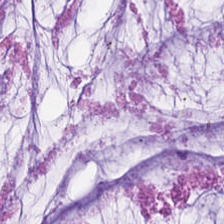224×224 px patch. FFPE tissue section. H&E-stained tissue section.
This patch shows extracellular mucin.
